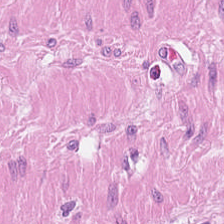H&E. Tissue type: smooth muscle.
